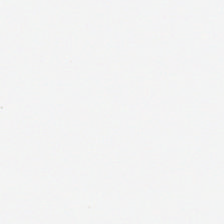Hematoxylin-and-eosin stained section; FFPE — This patch shows background.
